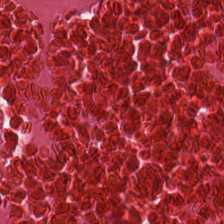H&E stain. The predominant tissue is debris.
